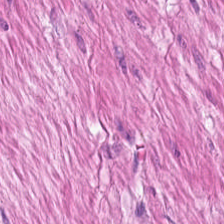H&E — Predominant tissue = smooth muscle.
